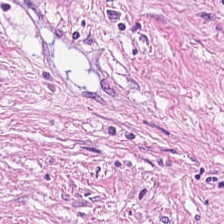Stain: H&E-stained tissue section.
Classification: cancer-associated stroma.
